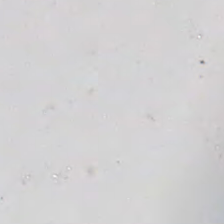Hematoxylin and eosin. Empty background.
